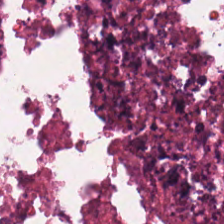224×224 px patch; H&E stain.
Q: Identify the tissue.
A: It is debris.
